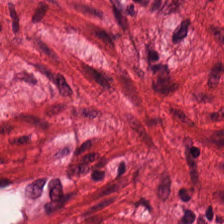Brightfield; H&E.
Classification — smooth-muscle tissue.
